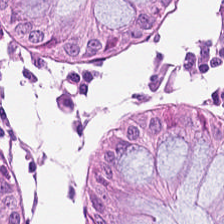WSI patch · hematoxylin-and-eosin stained section. Finding → normal colonic mucosa.
